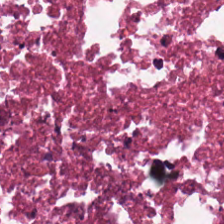Stain: H&E stain.
Tile size: 224×224 px patch.
Tissue: debris.
